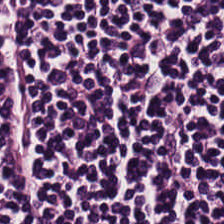H&E stain.
This patch shows lymphocytes.
